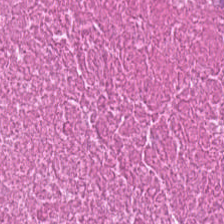{"tissue_type": "necrotic debris"}
